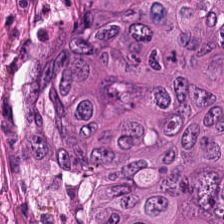H&E-stained tissue section — Tumor epithelium.
